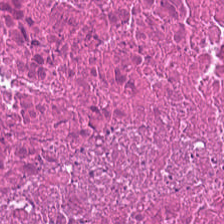H&E stain · FFPE tissue section.
The tissue here is necrotic debris.
